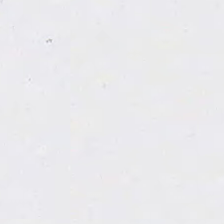Hematoxylin and eosin.
This patch shows no tissue.
